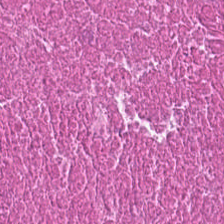Hematoxylin-and-eosin stained section; WSI patch. The tissue is necrotic debris.
